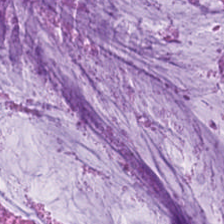H&E stain; 0.5 µm/px.
Tissue type = mucus.
